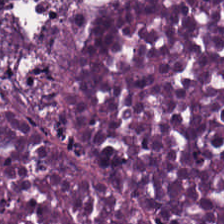H&E-stained tissue section — Tissue: debris.
